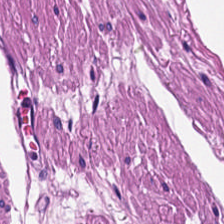H&E · 224×224 px tile · 0.5 µm/px.
This field is smooth muscle.
